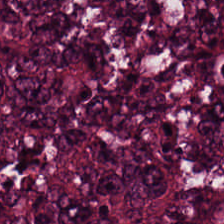H&E. Classification = adenocarcinoma.
